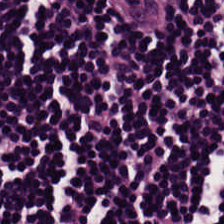H&E-stained tissue section.
Predominantly lymphocytic infiltrate.
